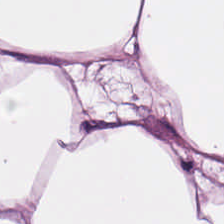Hematoxylin-and-eosin stained section.
Predominantly adipose tissue.
